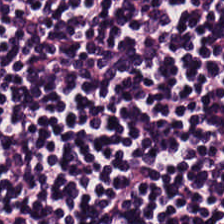H&E-stained tissue section.
Tissue: lymphocytes.
